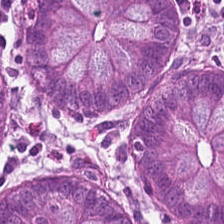H&E stain.
Predominant tissue — benign colonic mucosa.
